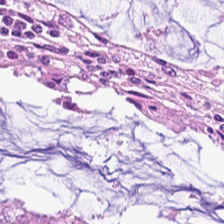H&E — benign colonic mucosa.
